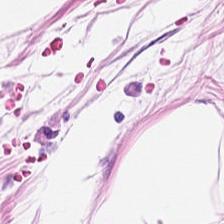Hematoxylin and eosin. The classification is adipocytes.
